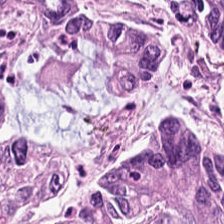Hematoxylin and eosin — Tissue class = tumor epithelium.
